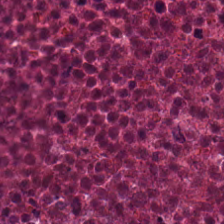224×224 px patch · hematoxylin-and-eosin stained section · brightfield.
This patch shows necrotic debris.
